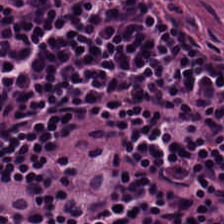Tissue = lymphoid infiltrate.
